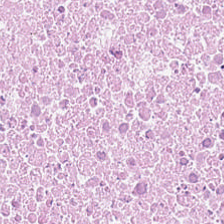H&E-stained tissue section. FFPE. 224×224 pixel tile — Q: What is the predominant tissue type?
A: It is cellular debris.
